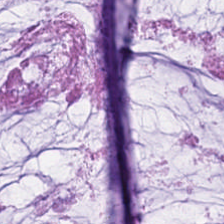Brightfield. H&E-stained tissue section. Impression — mucus.
